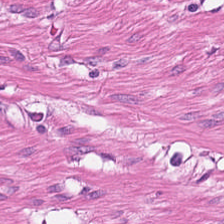Finding → smooth-muscle tissue.
